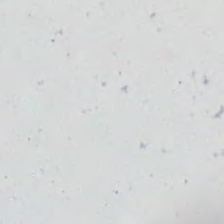H&E stain — Histology → empty background.
